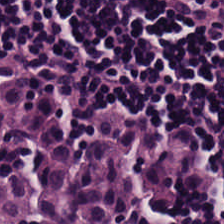H&E stain — Q: What is the predominant tissue type?
A: The field shows lymphocytic infiltrate.
